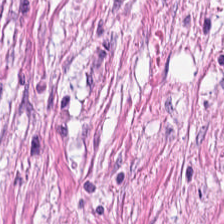Whole-slide-image patch; FFPE; hematoxylin and eosin.
{"tissue_type": "desmoplastic stroma"}
